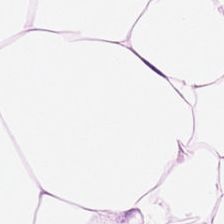H&E. Histology — adipose tissue.
